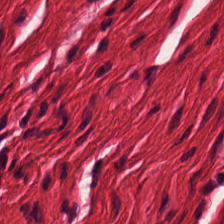Hematoxylin-and-eosin stained section.
The predominant tissue is muscularis.
